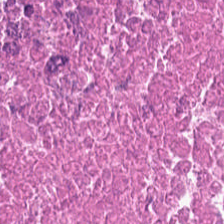FFPE tissue section. 0.5 µm per pixel. H&E. Q: What is the predominant tissue type?
A: This is debris.
